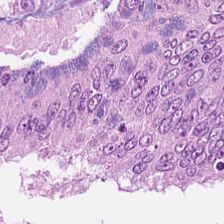FFPE tissue section · 20× equivalent magnification · H&E stain. Tissue class = colorectal adenocarcinoma epithelium.
